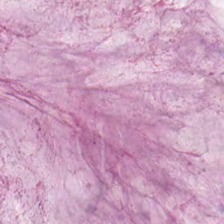224×224 pixel tile. H&E stain — Mucin.
